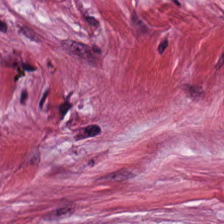H&E stain. 0.5 µm per pixel — Histology — desmoplastic stroma.
